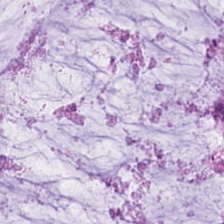Hematoxylin-and-eosin stained section; 224×224 pixel tile — Tissue class = mucus.
